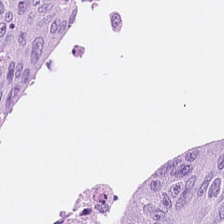Hematoxylin and eosin · 224×224 pixel tile — Q: What tissue is shown?
A: Colorectal adenocarcinoma epithelium.
